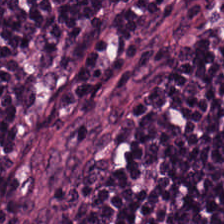Hematoxylin and eosin — This patch shows lymphocytes.
